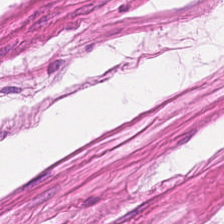H&E-stained tissue section. Tissue class — muscularis.
